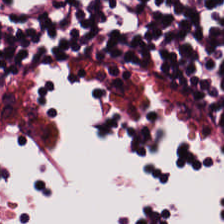Predominantly lymphocytic infiltrate.
